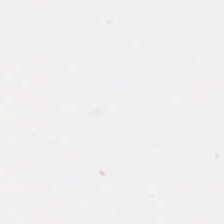This patch shows empty background.
